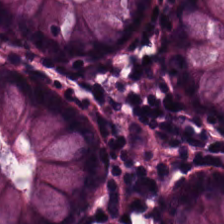Hematoxylin and eosin · brightfield microscopy — Tissue: benign colonic mucosa.
